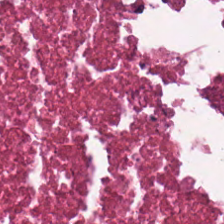Classification: debris.
